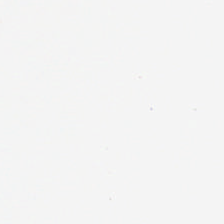Q: What is shown in this field?
A: Background (no tissue).
